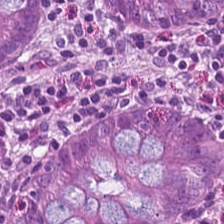H&E-stained tissue section. Histology → normal colon mucosa.
